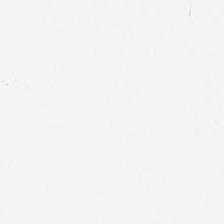H&E — Background — no tissue in this field.
